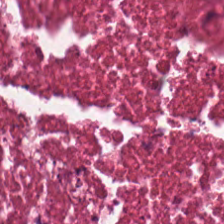H&E-stained tissue section — Q: What is shown in this field?
A: The field shows debris.
